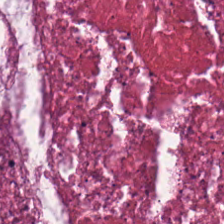H&E — debris.
